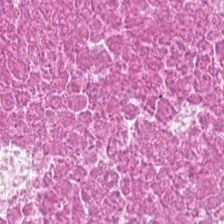H&E stain — The tissue is debris.
